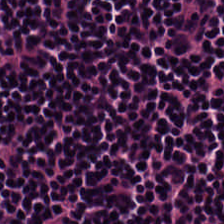This field is lymphocytes.
